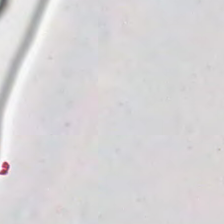H&E stain. 20× equivalent magnification. WSI patch.
This field is background (no tissue).
